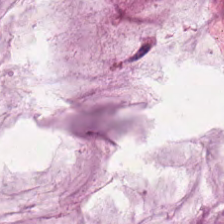Whole-slide-image patch; 224×224 pixel tile; H&E. Tissue: mucin.
